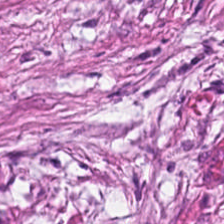Hematoxylin-and-eosin stained section. Q: Classify this patch.
A: This is tumor-associated stroma.
